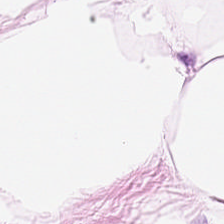H&E-stained tissue section.
Fat tissue.
